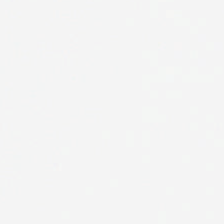Finding → no tissue.
